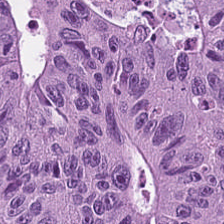Stain: hematoxylin-and-eosin stained section.
Preparation: formalin-fixed paraffin-embedded section.
Classification: adenocarcinoma.
